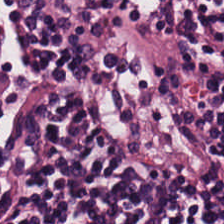H&E stain — Q: What is shown in this field?
A: This is lymphocyte aggregate.
